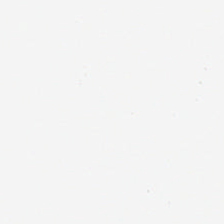H&E-stained tissue section; 224×224 pixel tile. Field content: background.
